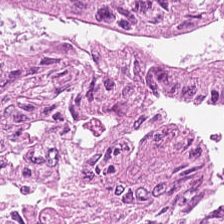Hematoxylin and eosin. 0.5 µm per pixel. {"tissue_type": "malignant epithelium"}
